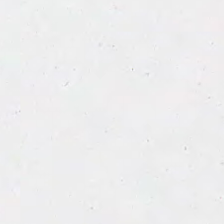H&E-stained tissue section. Brightfield — The field content is empty background.
